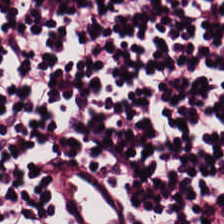Formalin-fixed paraffin-embedded section. Hematoxylin-and-eosin stained section. WSI patch.
Showing lymphocytic infiltrate.
